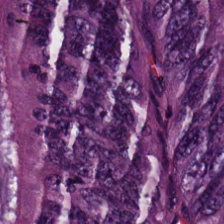Hematoxylin and eosin; WSI patch. Q: What is shown in this field?
A: This is colorectal adenocarcinoma epithelium.
